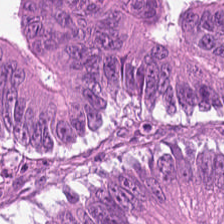H&E stain — Tissue type = colorectal adenocarcinoma.
